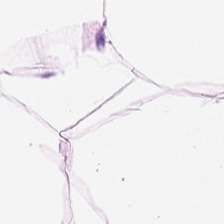Formalin-fixed paraffin-embedded section. 224×224 pixel tile. H&E-stained tissue section.
Q: What does this patch show?
A: The field shows fat tissue.
